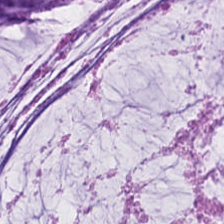224×224 px patch. Brightfield. Hematoxylin-and-eosin stained section. This patch shows mucus.
